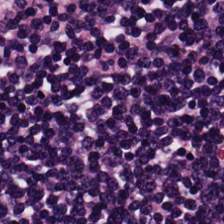Stain: hematoxylin-and-eosin stained section.
Acquisition: whole-slide-image patch.
Tissue class: lymphocytes.
